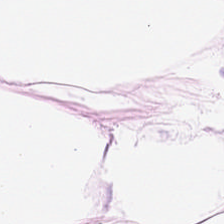H&E-stained tissue section — Tissue: adipose tissue.
